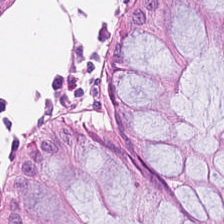Hematoxylin-and-eosin stained section — Tissue class: benign colonic mucosa.
